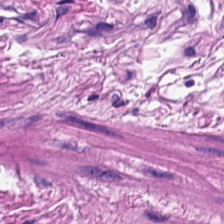Showing muscularis.
